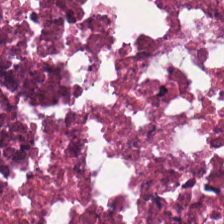Q: What is shown here?
A: Debris.
